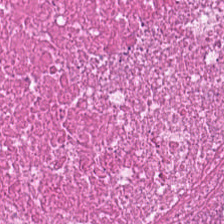Hematoxylin-and-eosin stained section — Tissue: necrotic debris.
